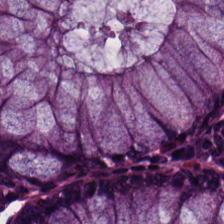224×224 px tile · hematoxylin-and-eosin stained section · formalin-fixed paraffin-embedded section. Non-neoplastic colon mucosa.
